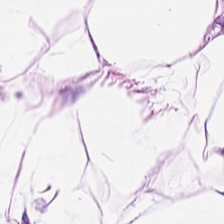{"tissue_type": "adipose tissue"}
